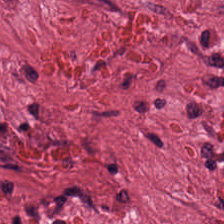Histology → cancer-associated stroma.
